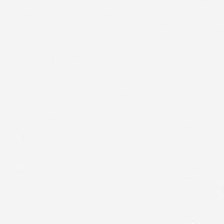H&E stain. FFPE. Content — background (no tissue).
